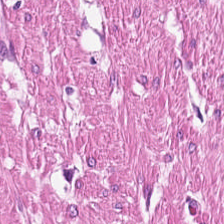H&E-stained tissue section — This patch shows muscularis.
